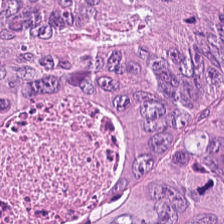224×224 px tile. Hematoxylin-and-eosin stained section. 0.5 µm per pixel. This patch shows colorectal adenocarcinoma.
